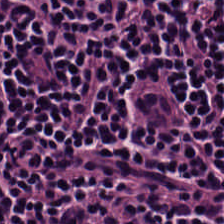0.5 µm per pixel · hematoxylin-and-eosin stained section · formalin-fixed paraffin-embedded section. Q: Identify the tissue.
A: This is lymphocyte aggregate.
